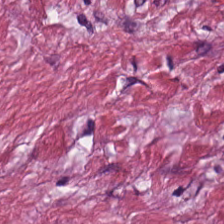224×224 px tile; 20× equivalent magnification; hematoxylin-and-eosin stained section — Predominant tissue: tumor stroma.
